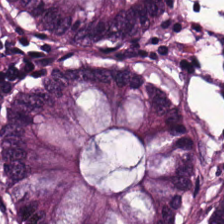H&E stain. Formalin-fixed paraffin-embedded section — The classification is normal colon mucosa.
